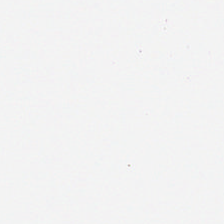H&E-stained tissue section. This patch shows background (no tissue).
